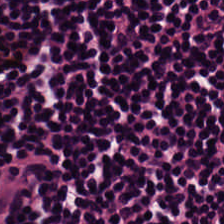Q: Identify the tissue.
A: It is lymphocytic infiltrate.
